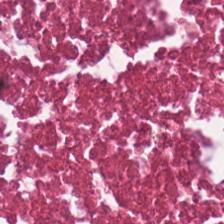Formalin-fixed paraffin-embedded section. H&E stain — Q: What does this patch show?
A: It is necrotic debris.
